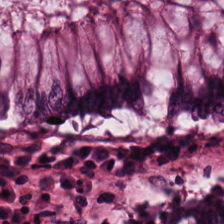Hematoxylin and eosin. Classification: benign colonic mucosa.
